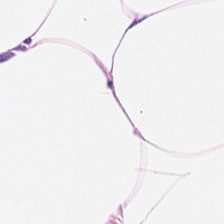Showing adipose.
